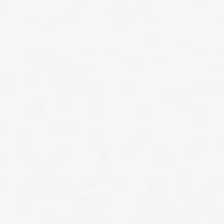Histology — background (no tissue).
